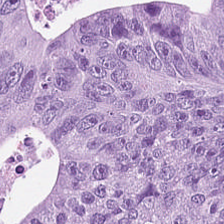H&E-stained tissue section.
The predominant tissue is colorectal adenocarcinoma epithelium.
